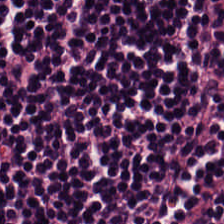0.5 µm/px; hematoxylin and eosin; WSI patch — Tissue — lymphocytic infiltrate.
